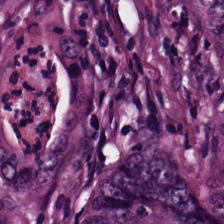H&E.
Histology — malignant epithelium.
